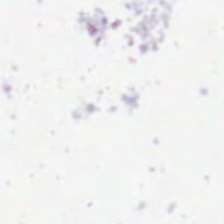Q: What does this patch show?
A: It is no tissue.
